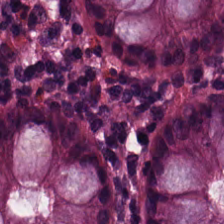0.5 microns per pixel · H&E-stained tissue section.
Tissue type: benign colonic mucosa.
